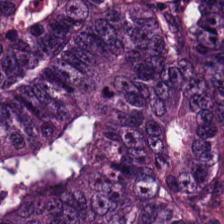Hematoxylin-and-eosin stained section — The predominant tissue is adenocarcinoma.
